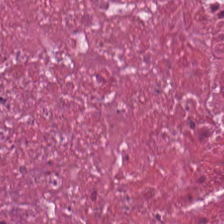0.5 µm/px; hematoxylin and eosin — Showing necrotic debris.
